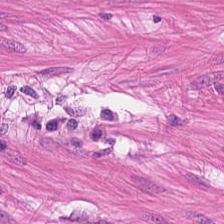Hematoxylin-and-eosin stained section · formalin-fixed paraffin-embedded section.
Tissue type: smooth-muscle tissue.
